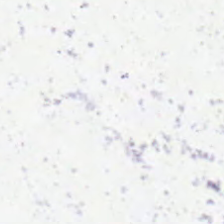Hematoxylin-and-eosin stained section · 0.5 microns per pixel · brightfield microscopy. Q: What does this patch show?
A: The field shows background.
